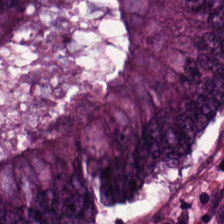H&E. Classification = colorectal adenocarcinoma epithelium.
